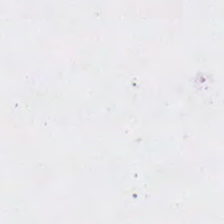Hematoxylin and eosin — Impression — background.
